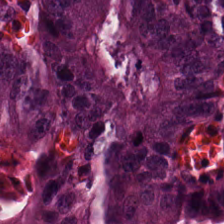0.5 µm per pixel · hematoxylin and eosin. Predominantly malignant epithelium.
